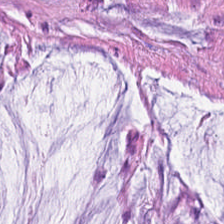Hematoxylin-and-eosin stained section; brightfield.
Predominantly mucin.
